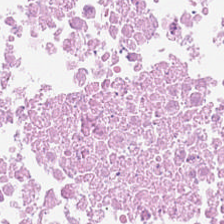H&E-stained tissue section showing debris.
